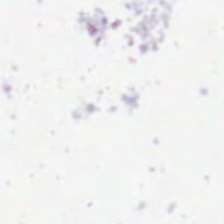Hematoxylin-and-eosin stained section.
Content = no tissue.
